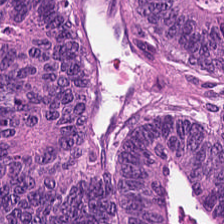H&E · formalin-fixed paraffin-embedded section — Predominantly colorectal adenocarcinoma epithelium.
